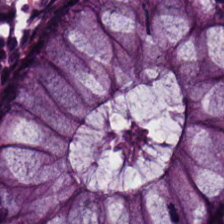Tissue = normal colonic mucosa.
